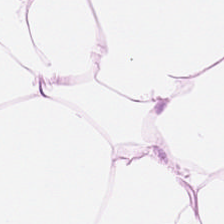This patch shows adipose tissue.
